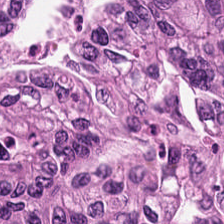Stain: hematoxylin and eosin.
Classification: malignant epithelium.
